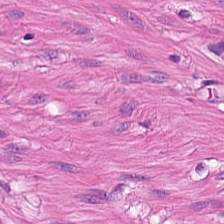Hematoxylin-and-eosin stained section — Showing smooth-muscle tissue.
